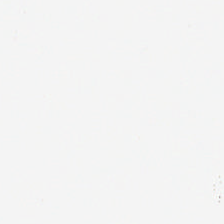Hematoxylin and eosin · FFPE · 224×224 px patch — The classification is background.
